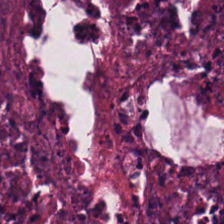FFPE tissue section. Hematoxylin and eosin. The tissue here is cellular debris.
